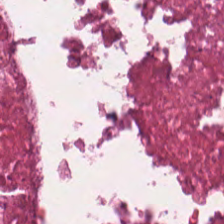Stain: H&E stain.
Tissue: cellular debris.
